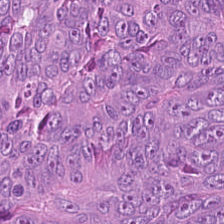Stain: H&E.
Tile size: 224×224 pixel tile.
Resolution: 0.5 µm/px.
Tissue: colorectal adenocarcinoma epithelium.
